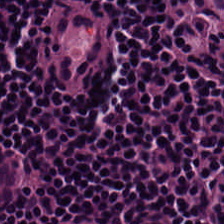{"tissue_type": "lymphocytes"}
